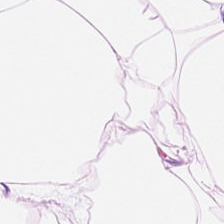224×224 pixel tile. H&E stain.
The tissue here is adipocytes.
